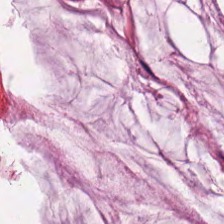H&E stain.
Predominant tissue = mucin.
